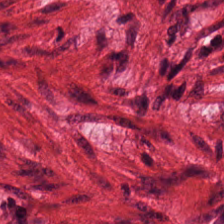Brightfield. Hematoxylin and eosin. 224×224 px patch.
Showing smooth-muscle tissue.
